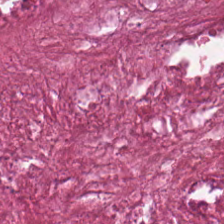{"tissue_type": "debris"}
